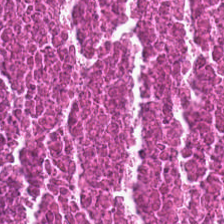Formalin-fixed paraffin-embedded section; H&E.
Tissue: necrotic debris.
